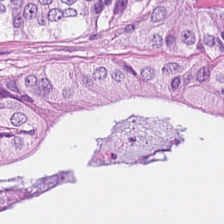Q: Classify this patch.
A: The field shows colorectal adenocarcinoma.
